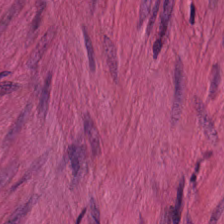224×224 pixel tile; H&E stain; 0.5 µm per pixel.
Q: What is shown in this field?
A: The field shows smooth-muscle tissue.
